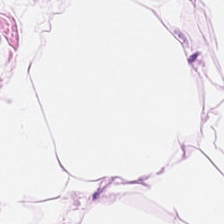Hematoxylin-and-eosin stained section · whole-slide-image patch.
Tissue — adipocytes.
